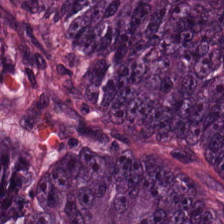Stain: hematoxylin and eosin.
Tissue type: adenocarcinoma.
